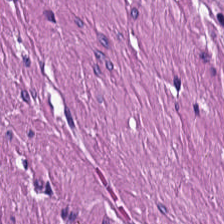H&E stain · WSI patch — Histology → smooth muscle.
